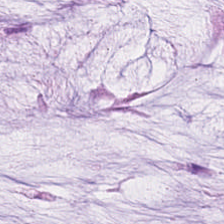H&E-stained tissue section; brightfield — Predominant tissue = mucin.
